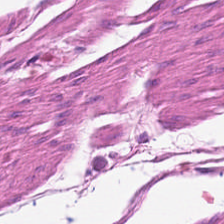Hematoxylin and eosin.
{"tissue_type": "smooth muscle"}
